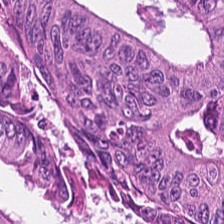H&E-stained tissue section — Malignant epithelium.
